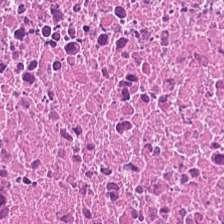224×224 pixel tile; H&E. Impression → cellular debris.
